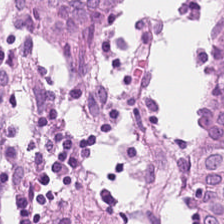The tissue type is non-neoplastic colon mucosa.
